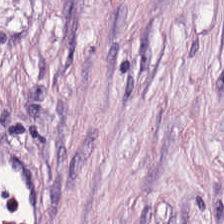H&E · brightfield. Classification: desmoplastic stroma.
